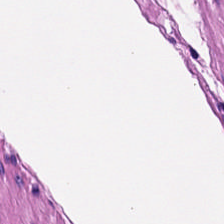H&E. Smooth muscle.
